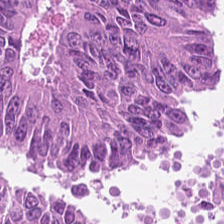Histology — colorectal adenocarcinoma epithelium.
